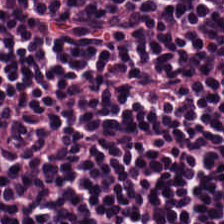Q: What is shown here?
A: It is lymphocytes.
